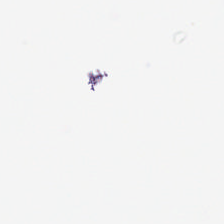Empty field — empty background.
